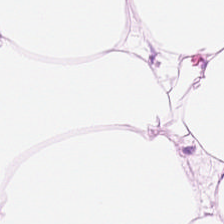Hematoxylin and eosin — This patch shows fat tissue.
